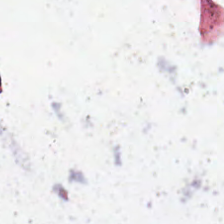Hematoxylin-and-eosin stained section — The content is no tissue.
